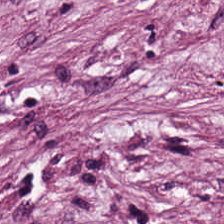Brightfield · H&E-stained tissue section — Predominant tissue = tumor-associated stroma.
